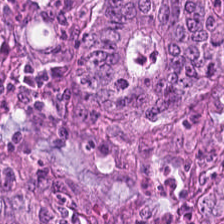Brightfield microscopy · H&E · 224×224 px patch.
The predominant tissue is colorectal adenocarcinoma epithelium.
